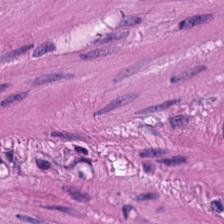FFPE · hematoxylin and eosin — Tissue type = muscularis.
